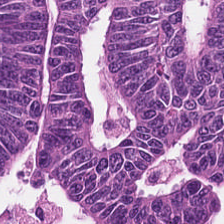Hematoxylin-and-eosin section: tumor epithelium.
